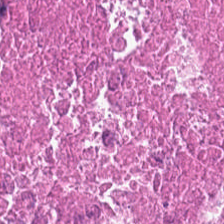Stain: hematoxylin-and-eosin stained section.
Tissue: necrotic debris.
